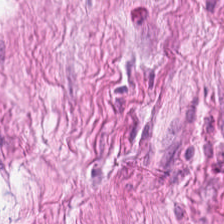H&E. Q: What type of tissue is this?
A: This is smooth-muscle tissue.
